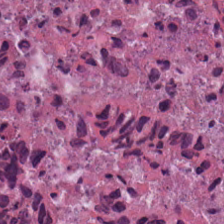0.5 µm/px; FFPE; H&E stain — {"tissue_type": "necrotic debris"}
